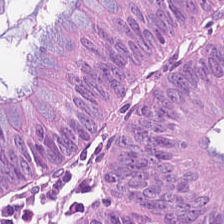H&E-stained tissue section. Showing malignant epithelium.
